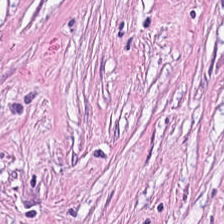H&E-stained tissue section showing cancer-associated stroma.
